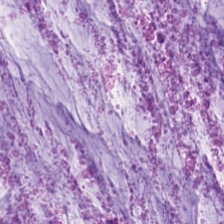H&E-stained tissue section — The tissue type is mucin.
